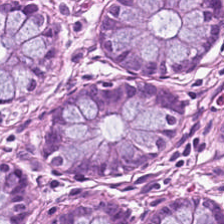H&E · FFPE · 224×224 px tile. The tissue here is normal colonic mucosa.
